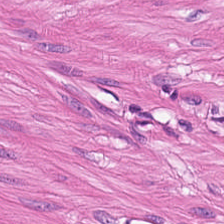H&E stain. Smooth muscle.
